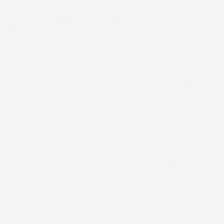0.5 microns per pixel; hematoxylin-and-eosin stained section — Empty field — empty background.
